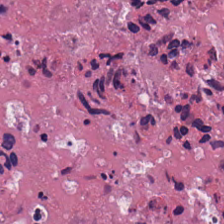H&E. The tissue here is necrotic debris.
